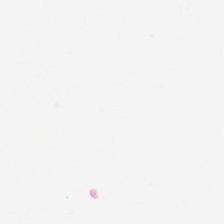H&E stain. Q: What does this patch show?
A: The field shows background (no tissue).
